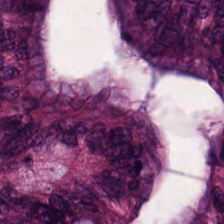Stain: H&E.
Predominant tissue: tumor epithelium.
